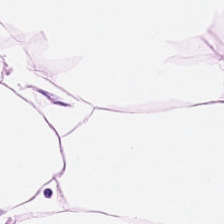Stain: H&E stain.
Tissue type: adipose tissue.
